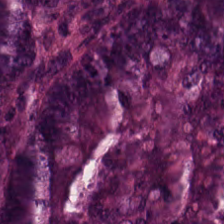H&E stain — Finding → tumor epithelium.
